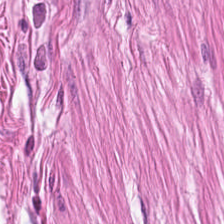Stain: hematoxylin and eosin.
Preparation: FFPE.
Acquisition: whole-slide-image patch.
Classification: smooth muscle.
